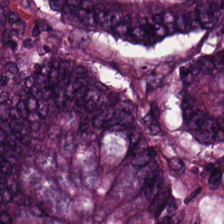Stain: H&E stain.
Tissue: colorectal adenocarcinoma.
